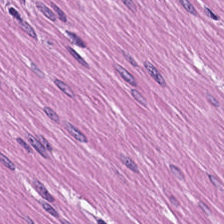H&E.
Predominantly smooth-muscle tissue.
